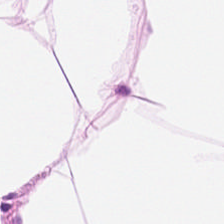Stain: hematoxylin and eosin.
Predominant tissue: adipose.
